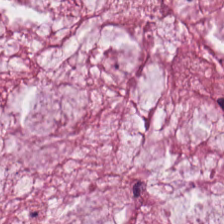Stain: H&E stain.
Predominant tissue: mucin.
